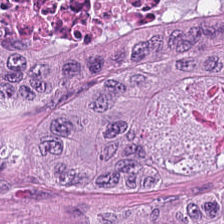H&E.
Tissue type = colorectal adenocarcinoma.
